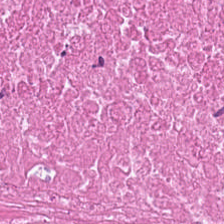Hematoxylin-and-eosin stained section.
Q: What tissue is shown?
A: The field shows debris.
